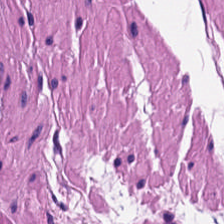Showing smooth muscle.
